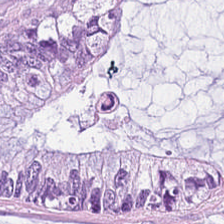Stain: H&E.
Tissue class: mucus.
